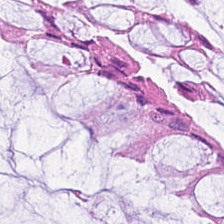Tissue — normal colon mucosa.
